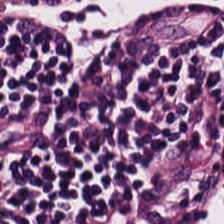Showing lymphocyte aggregate.
